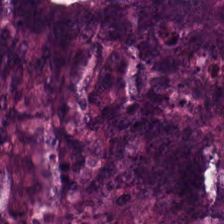Showing adenocarcinoma.
